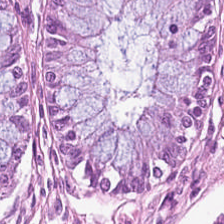Hematoxylin-and-eosin stained section · FFPE tissue section — This field is normal colonic mucosa.
